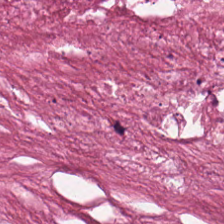H&E. Tissue — debris.
